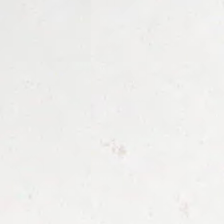This field is background (no tissue).
